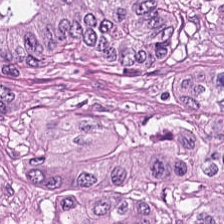Hematoxylin-and-eosin stained section · 224×224 px tile. Predominant tissue = colorectal adenocarcinoma epithelium.
